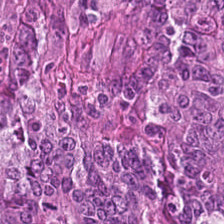Hematoxylin and eosin. Finding → colorectal adenocarcinoma.
